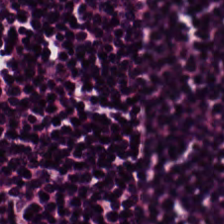Whole-slide-image patch · H&E stain.
Predominant tissue: lymphocytes.
